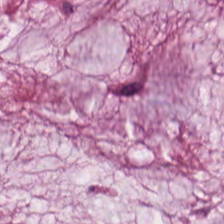Formalin-fixed paraffin-embedded section · H&E stain — The tissue is mucus.
